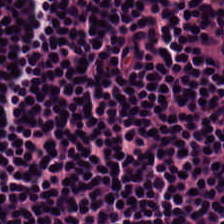Hematoxylin-and-eosin stained section.
Tissue: lymphocytic infiltrate.
